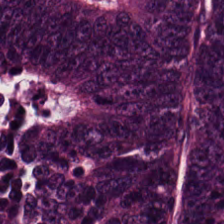{"tissue_type": "colorectal adenocarcinoma epithelium"}
